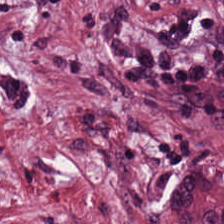Impression — tumor-associated stroma.
